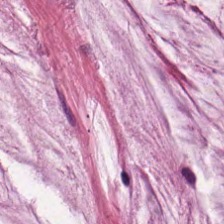Tissue = mucin.
